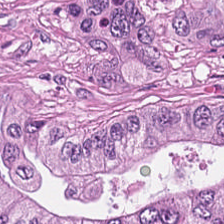Hematoxylin-and-eosin stained section — Impression → tumor epithelium.
